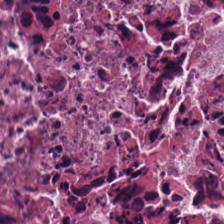Formalin-fixed paraffin-embedded section. H&E-stained tissue section — Q: What type of tissue is this?
A: Cellular debris.
